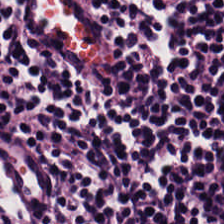H&E — Impression → lymphocytic infiltrate.
